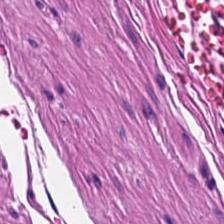Tissue type = smooth-muscle tissue.
